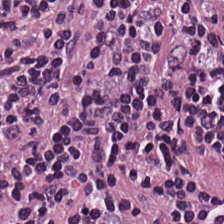Stain: hematoxylin-and-eosin stained section.
Preparation: FFPE.
Classification: lymphocyte aggregate.
